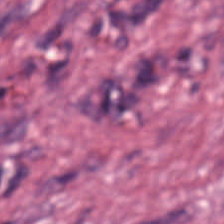Brightfield microscopy. H&E stain — Tissue: tumor-associated stroma.
